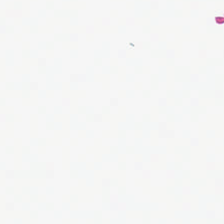Hematoxylin-and-eosin stained section — No tissue present; background only.
